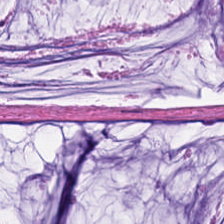Brightfield; H&E-stained tissue section; FFPE tissue section — Showing mucin.
